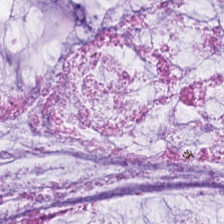0.5 µm/px · H&E stain · FFPE tissue section.
Histology → mucus.
